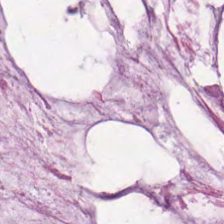H&E-stained tissue section. {"tissue_type": "mucus"}
